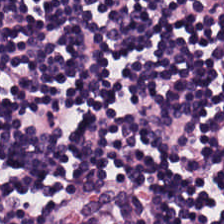Hematoxylin and eosin; formalin-fixed paraffin-embedded section — The classification is lymphocyte aggregate.
